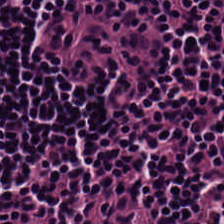Hematoxylin-and-eosin stained section. Lymphocytes.
